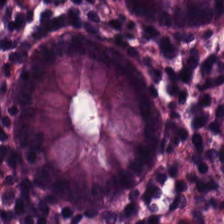Hematoxylin-and-eosin stained section; WSI patch; 20× equivalent magnification — Benign colonic mucosa.
